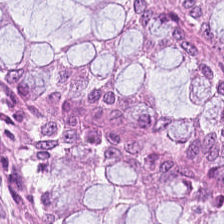H&E-stained tissue section — This patch shows benign colonic mucosa.
